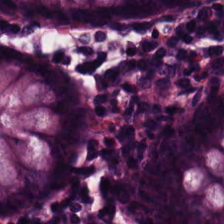Normal colon mucosa.
